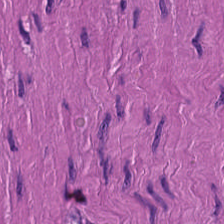H&E-stained tissue section.
Muscularis.
